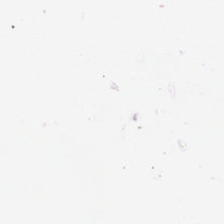H&E stain.
Field content = no tissue.
